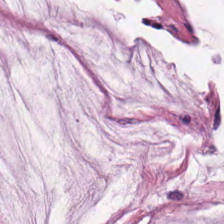FFPE · H&E stain · 224×224 pixel tile. Predominant tissue — mucus.
